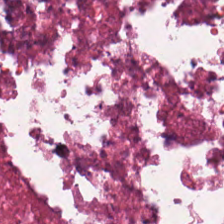H&E.
Histology — cellular debris.
